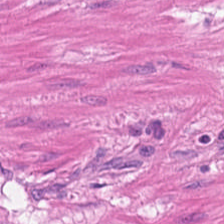H&E patch showing smooth-muscle tissue.
